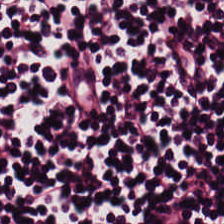H&E stain.
Impression → lymphocytic infiltrate.
